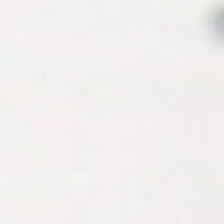H&E stain. Q: What does this patch show?
A: The field shows background (no tissue).
